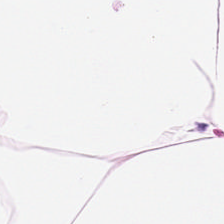H&E-stained tissue section — This patch shows adipocytes.
